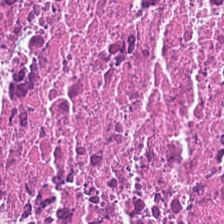H&E stain. Classification = debris.
